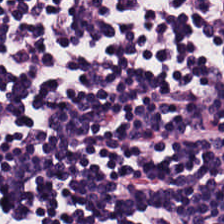0.5 µm per pixel. Hematoxylin and eosin. Predominant tissue = lymphocyte aggregate.
